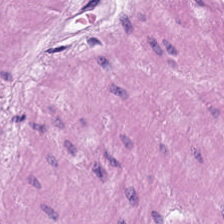H&E. This field is muscularis.
